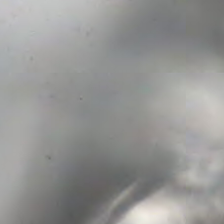Formalin-fixed paraffin-embedded section · hematoxylin-and-eosin stained section · whole-slide-image patch.
Empty field — background.
